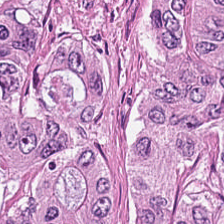Showing colorectal adenocarcinoma epithelium.
